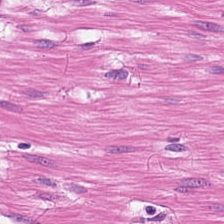Hematoxylin-and-eosin stained section; FFPE; 224×224 pixel tile.
Showing smooth muscle.
